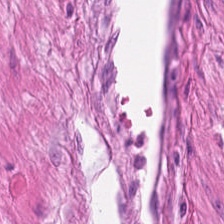H&E stain.
Q: What is shown in this field?
A: It is muscularis.
